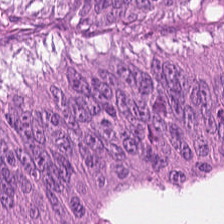Hematoxylin and eosin. Brightfield microscopy. 224×224 px patch — Colorectal adenocarcinoma.
